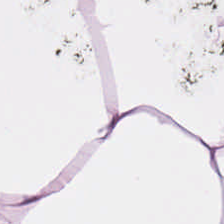224×224 px tile. H&E stain. WSI patch. Predominantly fat tissue.
